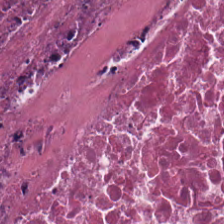H&E patch showing necrotic debris.
